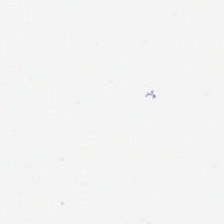Hematoxylin-and-eosin stained section — Content: no tissue.
